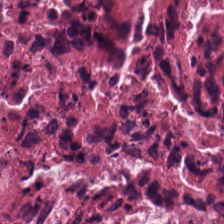Impression — cellular debris.
